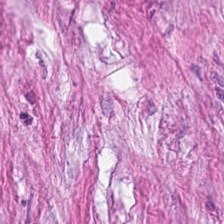Hematoxylin-and-eosin stained section · 0.5 µm/px — This field is tumor-associated stroma.
